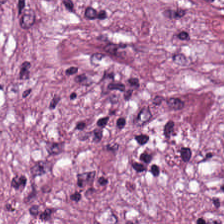224×224 px tile. Formalin-fixed paraffin-embedded section. H&E-stained tissue section. This patch shows cancer-associated stroma.
